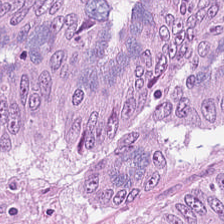H&E stain. Showing colorectal adenocarcinoma epithelium.
